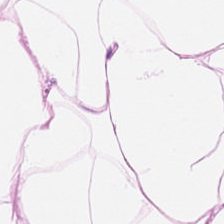H&E — adipose tissue.
